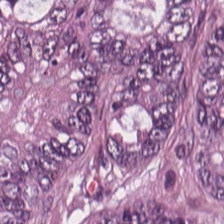Stain: hematoxylin and eosin.
Acquisition: brightfield.
Resolution: 0.5 microns per pixel.
Tissue type: colorectal adenocarcinoma epithelium.
